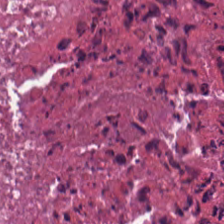H&E. Brightfield microscopy. Predominantly debris.
